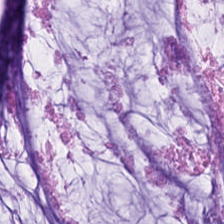H&E stain. Histology → extracellular mucin.
